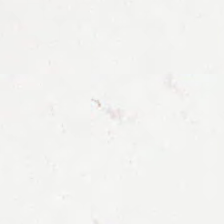H&E stain. Whole-slide-image patch — Background — no tissue in this field.
